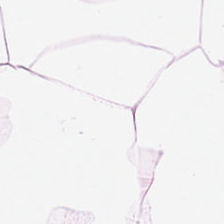Formalin-fixed paraffin-embedded section · H&E — The tissue type is adipocytes.
